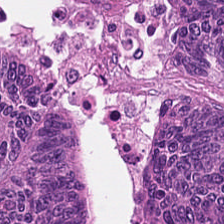Hematoxylin and eosin.
Q: What is shown here?
A: Malignant epithelium.
